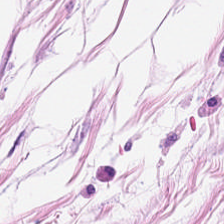H&E — Predominant tissue = adipose tissue.
